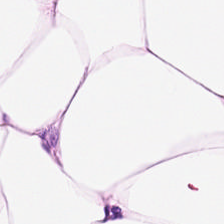Stain: H&E.
Tissue class: adipocytes.
